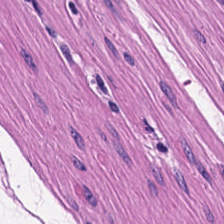H&E — Q: What is shown here?
A: It is muscularis.
